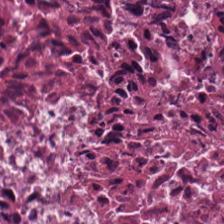H&E stain.
Finding — cellular debris.
